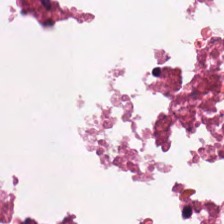Stain: hematoxylin and eosin.
Preparation: FFPE.
Tile size: 224×224 px tile.
Tissue class: cellular debris.
